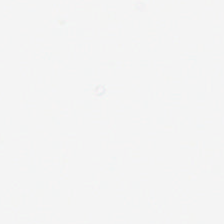Finding → background (no tissue).
